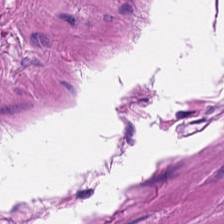Hematoxylin-and-eosin stained section.
Finding → smooth-muscle tissue.
